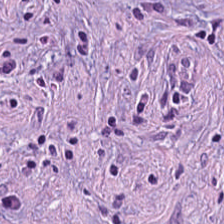224×224 pixel tile. Hematoxylin and eosin. Cancer-associated stroma.
